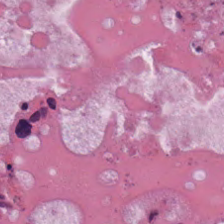H&E-stained tissue section. Tissue class: cellular debris.
